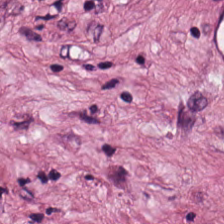FFPE. Hematoxylin-and-eosin stained section. Brightfield. Q: What tissue is shown?
A: Desmoplastic stroma.
